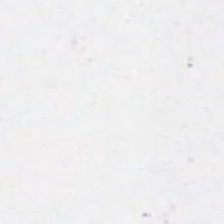224×224 px tile. H&E stain. Formalin-fixed paraffin-embedded section.
{"content": "background (no tissue)"}
